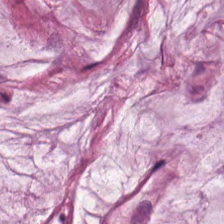H&E-stained tissue section. Predominantly mucin.
